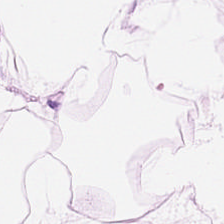H&E stain.
Finding → adipose tissue.
